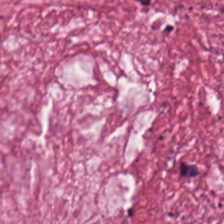Stain: H&E.
Tissue class: tumor stroma.
